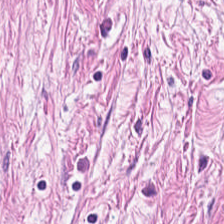224×224 px patch · H&E. Tissue class — tumor stroma.
